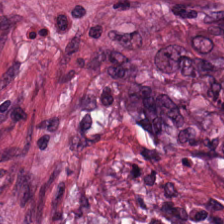Stain: H&E stain.
Acquisition: brightfield.
Classification: tumor stroma.
